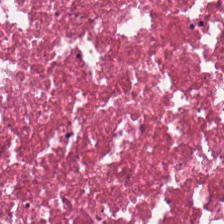Stain: hematoxylin and eosin.
Tissue: debris.
